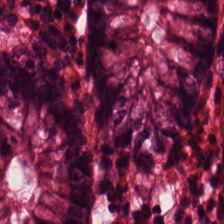Normal colon mucosa.
